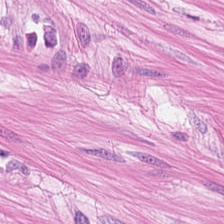Classification = smooth-muscle tissue.
